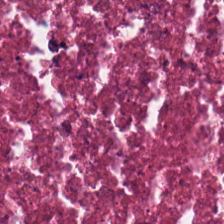H&E-stained tissue section. Predominant tissue — necrotic debris.
